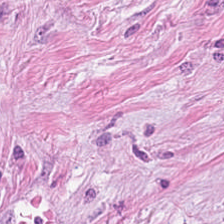Brightfield · H&E-stained tissue section.
Showing tumor stroma.
